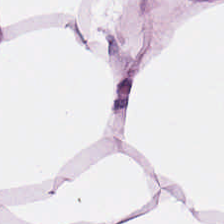H&E-stained tissue section — Predominantly adipose.
